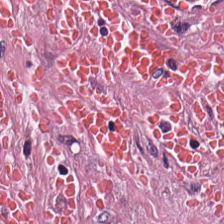H&E — Showing cancer-associated stroma.
